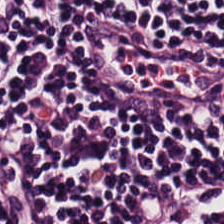H&E stain. Q: What is shown here?
A: It is lymphocytes.
